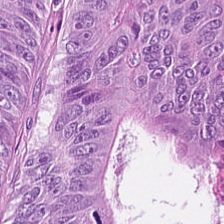Classification = adenocarcinoma.
